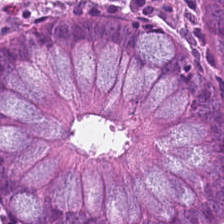Hematoxylin and eosin. The predominant tissue is benign colonic mucosa.
